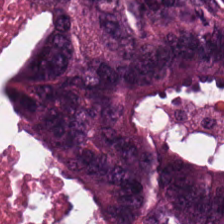Showing colorectal adenocarcinoma.
